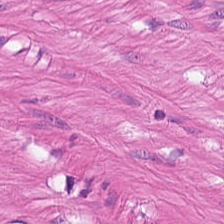20× equivalent magnification; 224×224 px patch; H&E stain. Smooth-muscle tissue.
